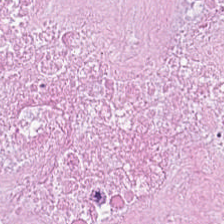H&E. Classification: debris.
